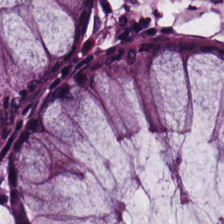H&E stain; whole-slide-image patch; 224×224 pixel tile.
Q: What tissue type is shown here?
A: It is normal colonic mucosa.
